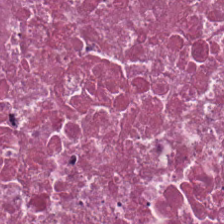Stain: H&E.
Acquisition: brightfield.
Tile size: 224×224 px tile.
Predominant tissue: debris.
